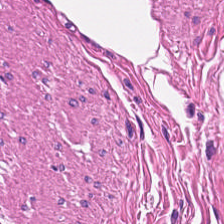H&E-stained tissue section — Q: What tissue is shown?
A: Muscularis.
